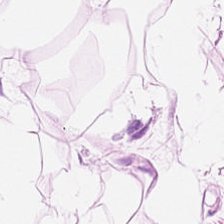H&E stain.
This patch shows adipose tissue.
